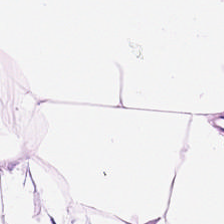Hematoxylin and eosin — Q: What tissue type is shown here?
A: This is fat tissue.
